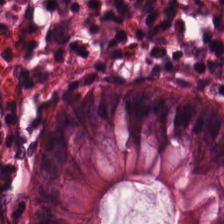H&E patch showing non-neoplastic colon mucosa.
